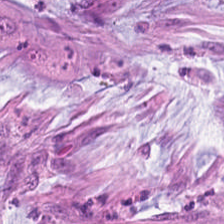Hematoxylin-and-eosin stained section — The predominant tissue is mucus.
